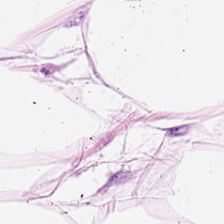H&E stain.
Finding → adipose.
